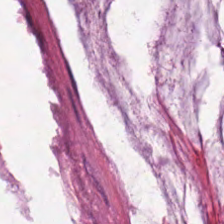H&E stain; 0.5 µm/px. This field is mucin.
